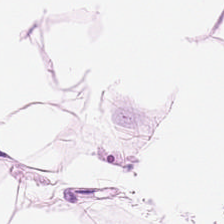This patch shows adipose tissue.
